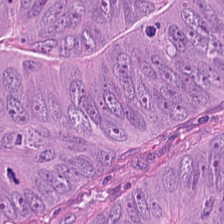Hematoxylin and eosin · FFPE · 224×224 pixel tile — Q: Classify this patch.
A: Colorectal adenocarcinoma epithelium.
